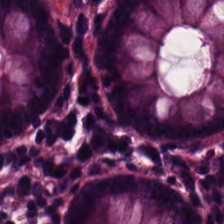FFPE; hematoxylin-and-eosin stained section — The predominant tissue is normal colonic mucosa.
